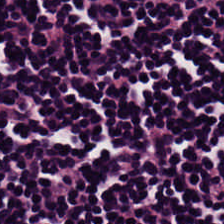224×224 px tile; H&E stain.
Q: What is shown here?
A: This is lymphocyte aggregate.
